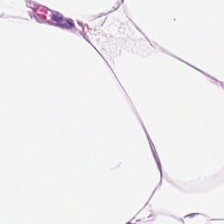Stain: H&E stain.
Preparation: formalin-fixed paraffin-embedded section.
Tissue class: adipose.
